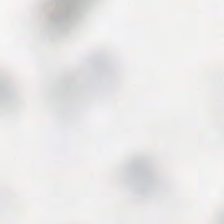Stain: H&E stain.
Preparation: FFPE tissue section.
Content: no tissue.
